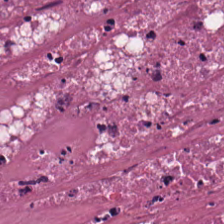{"tissue_type": "debris"}
